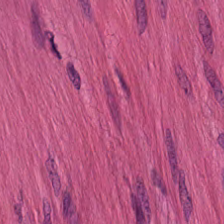Stain: hematoxylin-and-eosin stained section.
Tissue: smooth-muscle tissue.
